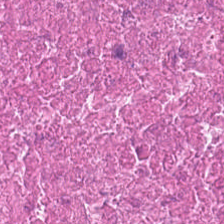Hematoxylin and eosin. 224×224 pixel tile — Showing cellular debris.
